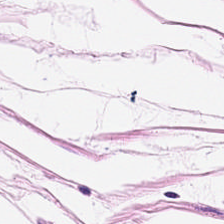Stain: hematoxylin and eosin.
Tissue: adipose.
